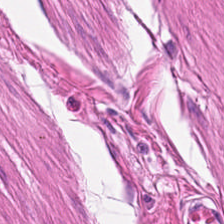Hematoxylin-and-eosin stained section.
Finding — smooth-muscle tissue.
